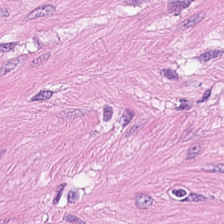H&E. Formalin-fixed paraffin-embedded section. Q: What is shown in this field?
A: The field shows smooth-muscle tissue.
